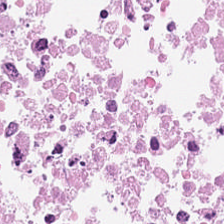FFPE · H&E-stained tissue section.
The tissue here is debris.
